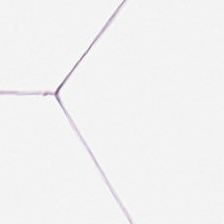Tissue: adipocytes.
